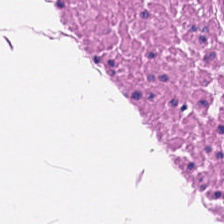Hematoxylin-and-eosin stained section. Impression → smooth-muscle tissue.
